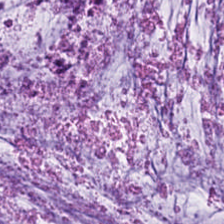Stain: H&E.
Acquisition: whole-slide-image patch.
Tissue: mucin.
